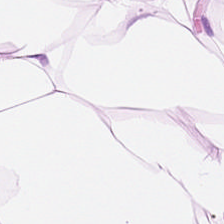Hematoxylin-and-eosin stained section.
{"tissue_type": "adipocytes"}
